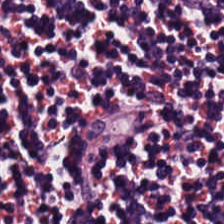Hematoxylin-and-eosin stained section. Predominantly lymphocytic infiltrate.
